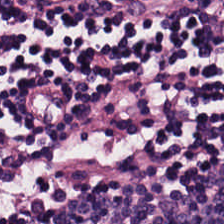H&E-stained tissue section — {"tissue_type": "lymphocyte aggregate"}
